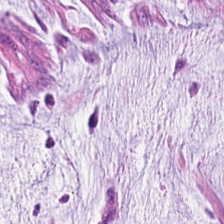WSI patch · H&E stain.
Tissue class = extracellular mucin.
